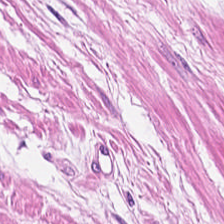Hematoxylin-and-eosin stained section — Tissue type: muscularis.
